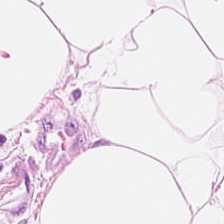Impression — adipocytes.
